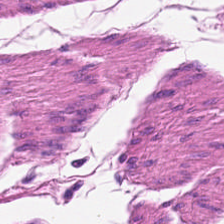H&E-stained tissue section. {"tissue_type": "smooth-muscle tissue"}
